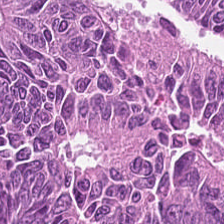H&E stain. Q: What is the predominant tissue type?
A: Colorectal adenocarcinoma.
